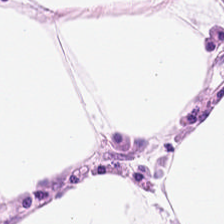H&E stain. Classification: adipose.
